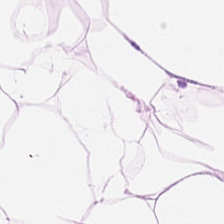Hematoxylin and eosin; FFPE tissue section; 224×224 pixel tile.
This field is adipose tissue.
